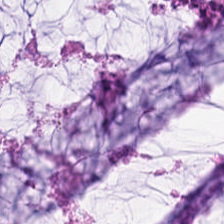The tissue is mucus.
